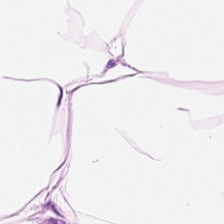Stain: H&E.
Predominant tissue: adipose tissue.
